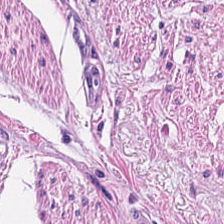Hematoxylin-and-eosin stained section — Q: What is shown in this field?
A: It is smooth muscle.
